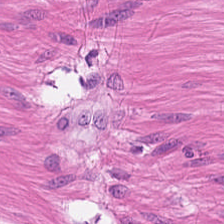Hematoxylin-and-eosin stained section · 0.5 µm per pixel. Predominant tissue — muscularis.
